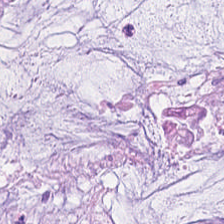H&E-stained tissue section — The tissue type is extracellular mucin.
